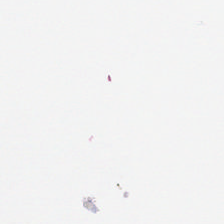H&E stain. FFPE tissue section. Brightfield microscopy. The field content is empty background.
